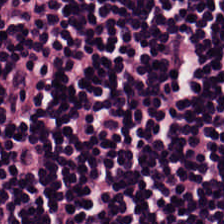H&E — lymphocyte aggregate.
